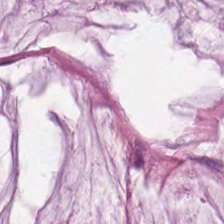H&E-stained section; the field shows extracellular mucin.
